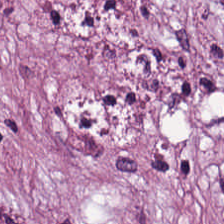Hematoxylin and eosin. {"tissue_type": "cancer-associated stroma"}
